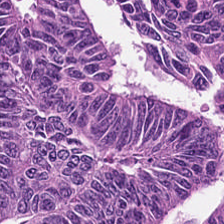The predominant tissue is colorectal adenocarcinoma.
